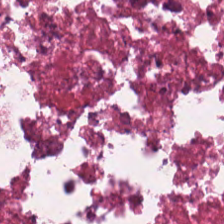Hematoxylin and eosin.
Tissue type: necrotic debris.
